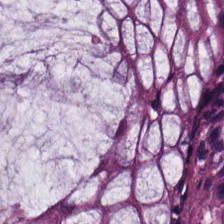Hematoxylin-and-eosin stained section — Histology → normal colonic mucosa.
